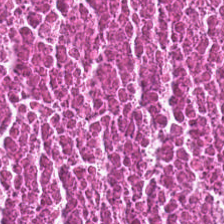224×224 px patch. Hematoxylin-and-eosin stained section. FFPE tissue section. Necrotic debris.
